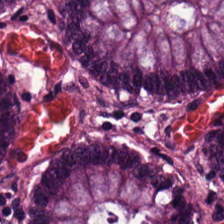Classification — non-neoplastic colon mucosa.
